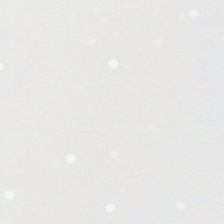This patch shows empty background.
